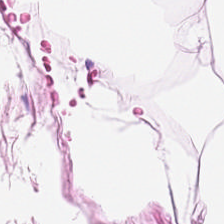224×224 pixel tile · 0.5 µm/px · H&E-stained tissue section.
Predominantly adipose.
